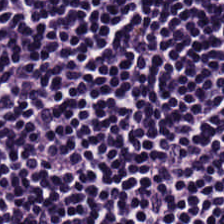Hematoxylin-and-eosin stained section.
Q: What does this patch show?
A: This is lymphocytes.
